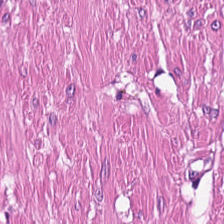Hematoxylin-and-eosin stained section.
The tissue is muscularis.
